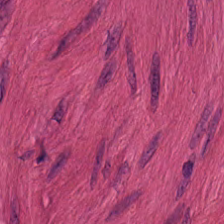H&E stain. 224×224 px tile. 0.5 µm per pixel — Showing smooth-muscle tissue.
